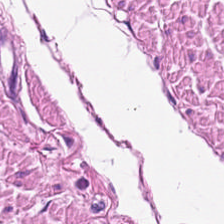Hematoxylin and eosin.
Q: What is the predominant tissue type?
A: The field shows smooth-muscle tissue.
